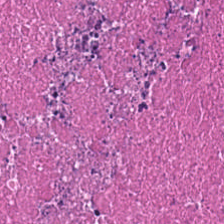Hematoxylin-and-eosin stained section.
Finding → debris.
